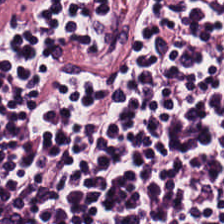H&E stain. Tissue — lymphocyte aggregate.
